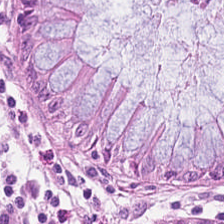This field is non-neoplastic colon mucosa.
